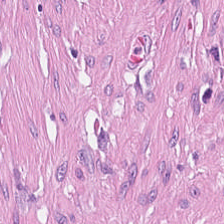Brightfield microscopy · hematoxylin-and-eosin stained section. Tissue class — cancer-associated stroma.
